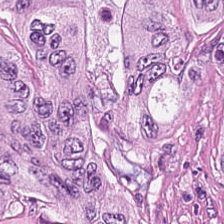224×224 px patch. H&E — The tissue here is malignant epithelium.
